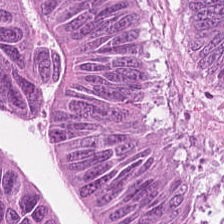Histology — malignant epithelium.
